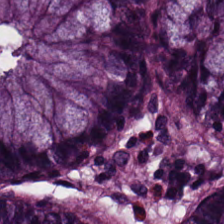Impression — non-neoplastic colon mucosa.
